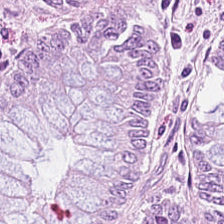WSI patch; H&E — Impression → normal colon mucosa.
